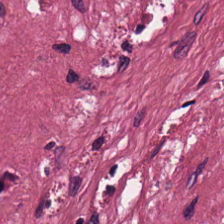Q: What type of tissue is this?
A: Desmoplastic stroma.
